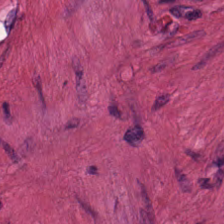Stain: H&E-stained tissue section.
Tile size: 224×224 px tile.
Preparation: FFPE tissue section.
Tissue type: smooth muscle.
